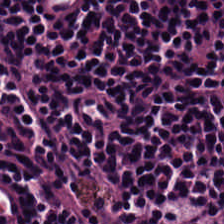Brightfield; hematoxylin-and-eosin stained section; 20× equivalent magnification. Q: Identify the tissue.
A: The field shows lymphoid infiltrate.
